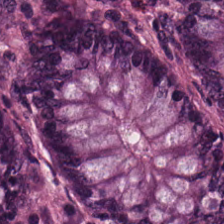0.5 microns per pixel. Hematoxylin-and-eosin stained section. Normal colonic mucosa.
